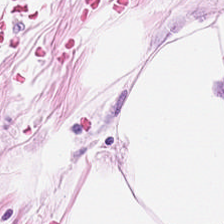Hematoxylin and eosin. Tissue type = adipose tissue.
